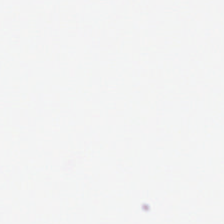The content is background (no tissue).
